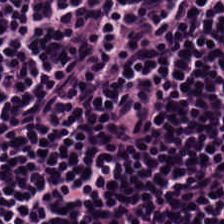WSI patch · hematoxylin and eosin. Predominant tissue — lymphoid infiltrate.
